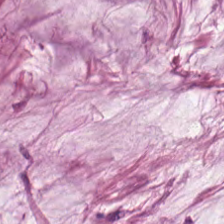H&E · FFPE · 0.5 µm/px.
This patch shows mucin.
